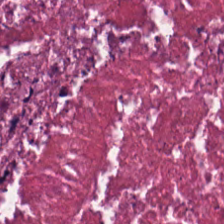Stain: H&E stain.
Acquisition: whole-slide-image patch.
Classification: debris.
